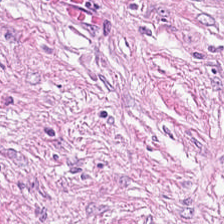Formalin-fixed paraffin-embedded section; H&E stain — Q: What does this patch show?
A: It is desmoplastic stroma.
